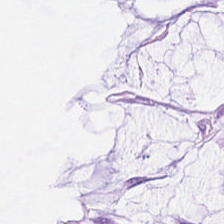Q: What is shown here?
A: This is mucus.
